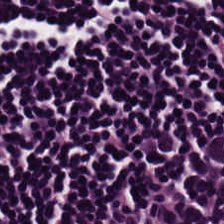Hematoxylin-and-eosin stained section — Tissue class: lymphocyte aggregate.
